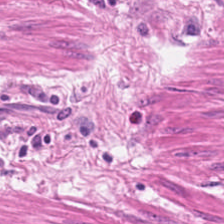Hematoxylin-and-eosin stained section; FFPE tissue section.
This field is smooth-muscle tissue.
